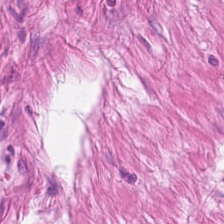H&E stain — Smooth-muscle tissue.
